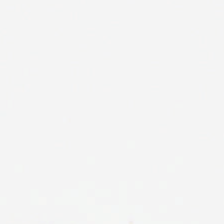Classification: background.
